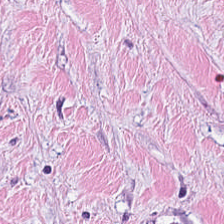20× equivalent magnification · brightfield microscopy · hematoxylin-and-eosin stained section. Impression → cancer-associated stroma.
